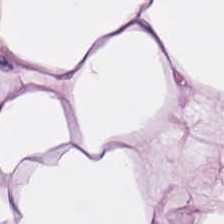The predominant tissue is adipose.
